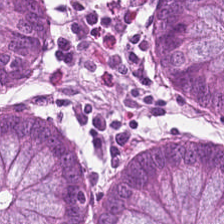H&E-stained tissue section — Classification = benign colonic mucosa.
